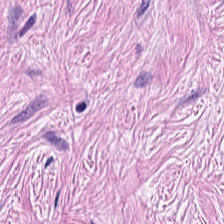Stain: hematoxylin-and-eosin stained section.
Classification: tumor-associated stroma.
